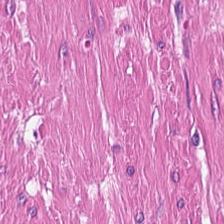H&E-stained tissue section.
Tissue — smooth muscle.
